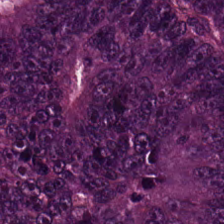H&E stain. 224×224 px patch. Colorectal adenocarcinoma.
